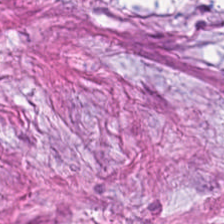Stain: hematoxylin-and-eosin stained section.
Classification: tumor stroma.
